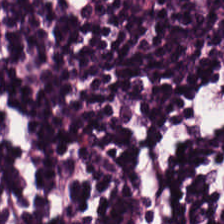H&E. This patch shows lymphoid infiltrate.
